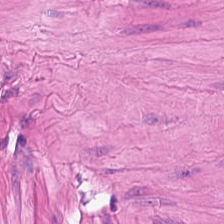H&E-stained tissue section; 0.5 µm per pixel — Impression → smooth muscle.
